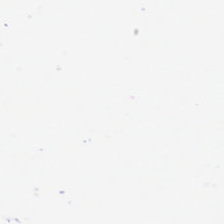H&E-stained tissue section · brightfield.
This field is background (no tissue).
